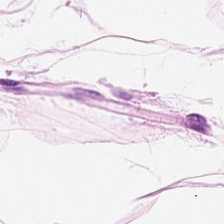FFPE · hematoxylin-and-eosin stained section — Tissue type — fat tissue.
